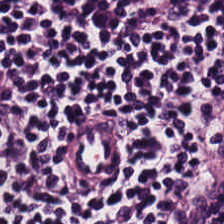Q: What tissue type is shown here?
A: The field shows lymphocytic infiltrate.
